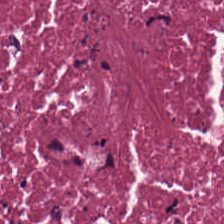H&E-stained tissue section. Q: Identify the tissue.
A: It is necrotic debris.
